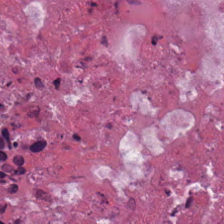Brightfield. H&E-stained tissue section. 224×224 pixel tile. The predominant tissue is cellular debris.
